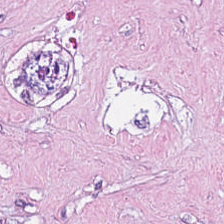Hematoxylin and eosin. Cellular debris.
